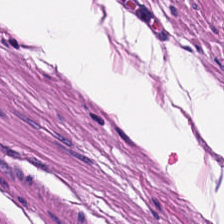Hematoxylin and eosin — Predominantly smooth-muscle tissue.
